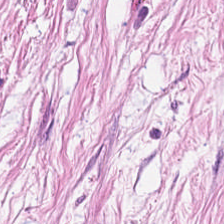Tissue: desmoplastic stroma.
